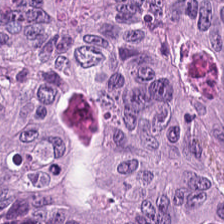Q: What tissue is shown?
A: This is colorectal adenocarcinoma epithelium.
